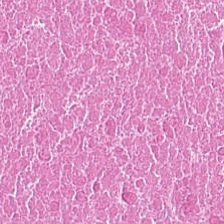The tissue class is cellular debris.
